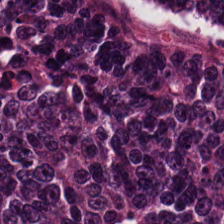Q: Classify this patch.
A: It is colorectal adenocarcinoma epithelium.
